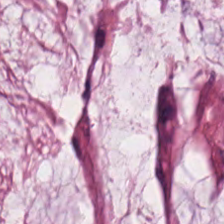Stain: hematoxylin and eosin.
Predominant tissue: extracellular mucin.
